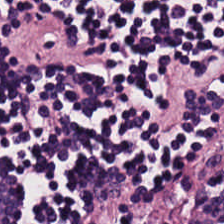Brightfield · H&E stain.
Lymphoid infiltrate.
